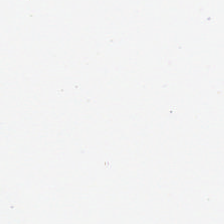Hematoxylin and eosin.
Classification: background.
